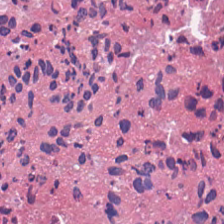Q: Classify this patch.
A: The field shows necrotic debris.
